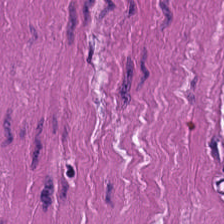The tissue class is smooth-muscle tissue.
